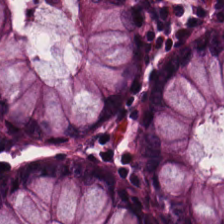H&E-stained tissue section. Tissue type — non-neoplastic colon mucosa.
